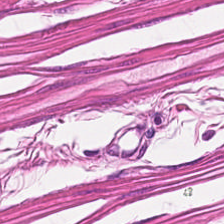Hematoxylin and eosin. 0.5 microns per pixel — Histology — muscularis.
